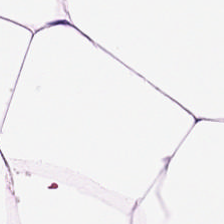H&E-stained tissue section · 0.5 microns per pixel · FFPE tissue section.
Q: What tissue is shown?
A: This is fat tissue.
